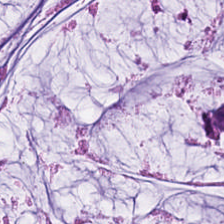224×224 px patch; H&E — Tissue = mucin.
